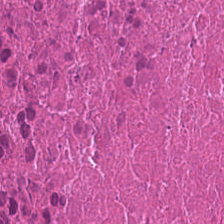Hematoxylin-and-eosin stained section. 224×224 pixel tile — This field is debris.
